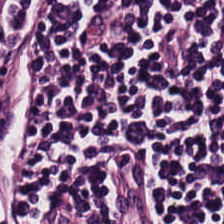20× equivalent magnification. Hematoxylin-and-eosin stained section. This field is lymphocytes.
